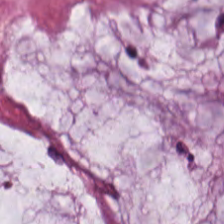H&E-stained tissue section showing extracellular mucin.
